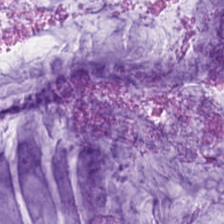Showing mucin.
